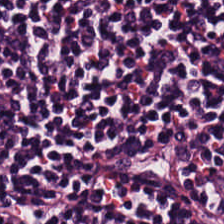Showing lymphocytes.
